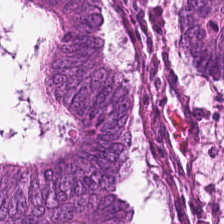Histology — malignant epithelium.
